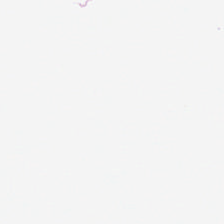WSI patch; 224×224 px patch; H&E-stained tissue section. Background — no tissue in this field.
